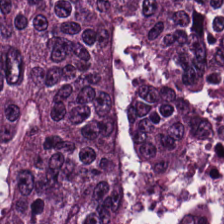H&E; FFPE tissue section. Predominantly malignant epithelium.
